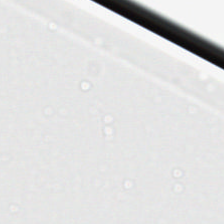H&E stain. Field content: background (no tissue).
